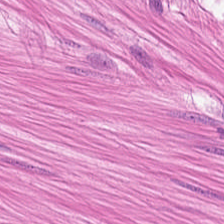Hematoxylin-and-eosin stained section. Predominantly smooth-muscle tissue.
